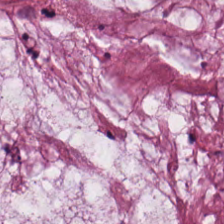Formalin-fixed paraffin-embedded section; H&E.
The tissue here is mucin.
